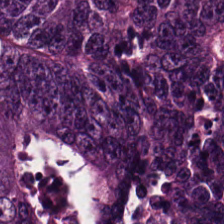Stain: hematoxylin and eosin.
Predominant tissue: colorectal adenocarcinoma epithelium.
